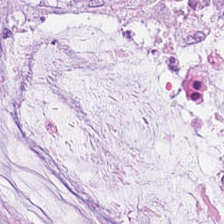H&E-stained tissue section — Q: Identify the tissue.
A: The field shows mucus.
